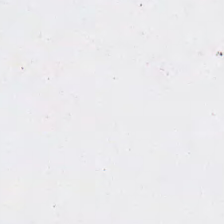224×224 px tile; H&E — This field is background (no tissue).
